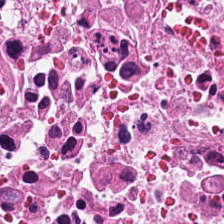H&E-stained tissue section. FFPE tissue section.
Predominantly necrotic debris.
